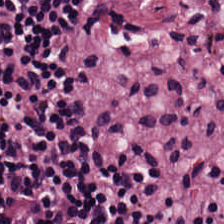Hematoxylin-and-eosin stained section. The tissue here is lymphoid infiltrate.
